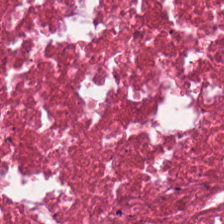This patch shows cellular debris.
